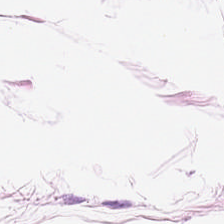H&E — adipose.
